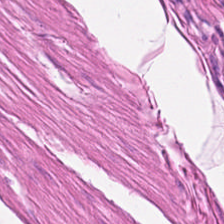The predominant tissue is smooth muscle.
